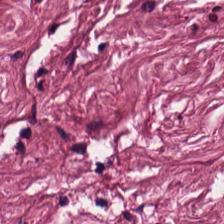Classification — desmoplastic stroma.
